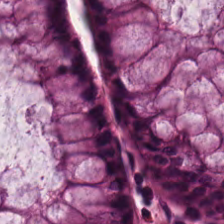224×224 px patch · H&E. Q: Identify the tissue.
A: The field shows benign colonic mucosa.
